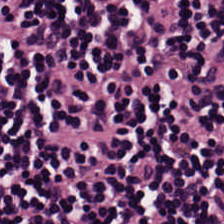Stain: H&E.
Tissue: lymphocytic infiltrate.
